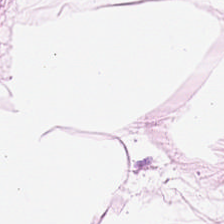H&E.
Fat tissue.
